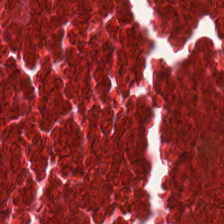H&E-stained tissue section — Necrotic debris.
